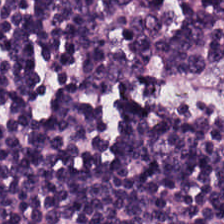H&E stain — Predominant tissue = lymphocytes.
